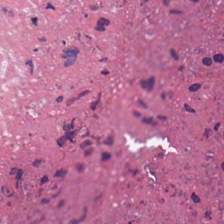H&E-stained tissue section · 224×224 px patch. Predominant tissue: debris.
